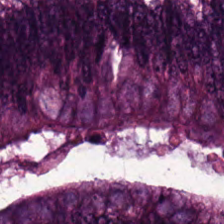FFPE; H&E stain — Histology → colorectal adenocarcinoma.
